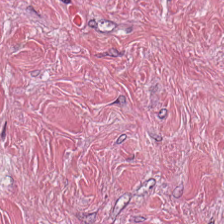H&E stain — Tissue class = desmoplastic stroma.
